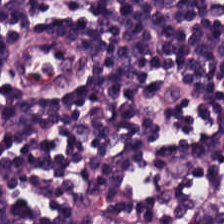Hematoxylin and eosin. Finding — lymphoid infiltrate.
